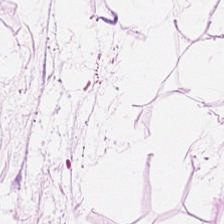H&E.
Predominant tissue — adipocytes.
